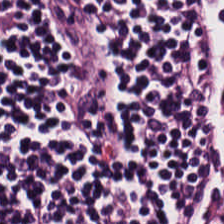This field is lymphocyte aggregate.
